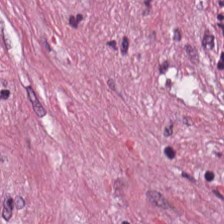Hematoxylin and eosin — Q: What tissue type is shown here?
A: Tumor stroma.
